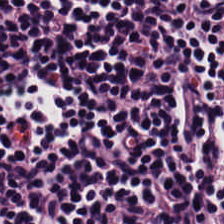Hematoxylin-and-eosin stained section; 0.5 microns per pixel. Predominantly lymphoid infiltrate.
